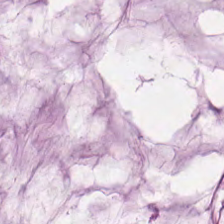Whole-slide-image patch. Formalin-fixed paraffin-embedded section. H&E stain.
Q: Identify the tissue.
A: Mucus.
